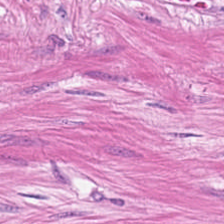{"tissue_type": "smooth muscle"}
